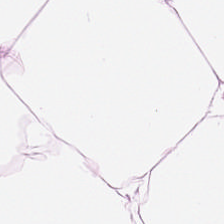H&E — adipocytes.
